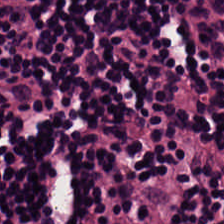Hematoxylin and eosin. Lymphoid infiltrate.
